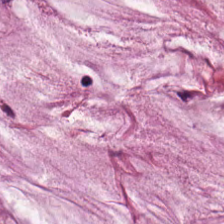H&E stain. FFPE tissue section — Tissue class: mucus.
